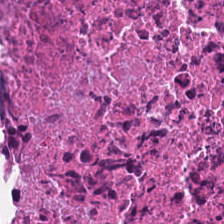H&E stain. 224×224 px tile. This field is cellular debris.
